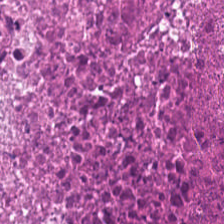Hematoxylin-and-eosin stained section — The predominant tissue is necrotic debris.
